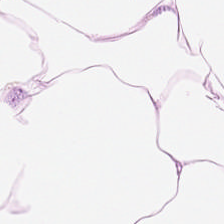Brightfield microscopy; 224×224 px tile; H&E — Tissue — fat tissue.
